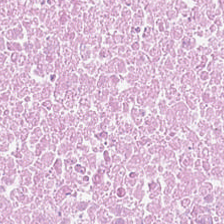H&E-stained tissue section. Q: What tissue type is shown here?
A: This is cellular debris.
